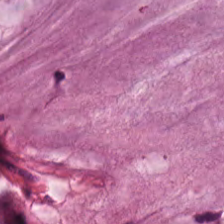H&E stain; 0.5 microns per pixel — Histology — extracellular mucin.
